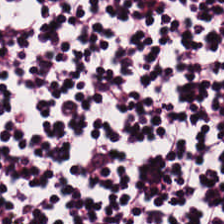Tissue class = lymphocytes.
